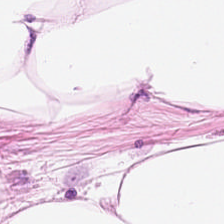Hematoxylin and eosin; 0.5 µm/px. Predominantly fat tissue.
